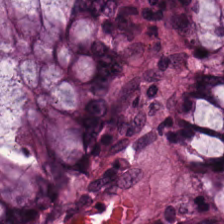Stain: H&E.
Predominant tissue: normal colonic mucosa.
